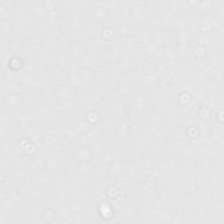Hematoxylin and eosin. {"content": "background (no tissue)"}
